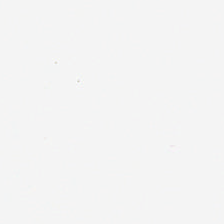H&E-stained tissue section. Content: empty background.
